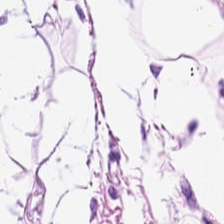Stain: hematoxylin-and-eosin stained section.
Tissue type: fat tissue.
